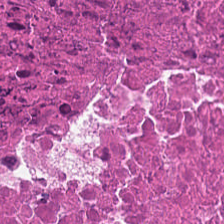H&E stain · 224×224 px patch · formalin-fixed paraffin-embedded section. This patch shows necrotic debris.
